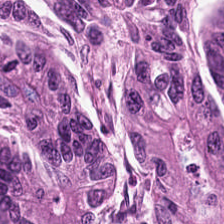Hematoxylin-and-eosin stained section — Predominant tissue: malignant epithelium.
